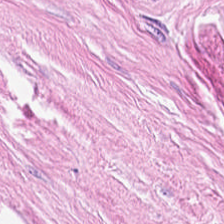H&E stain. 20× equivalent magnification. 224×224 px tile — The tissue here is tumor stroma.
